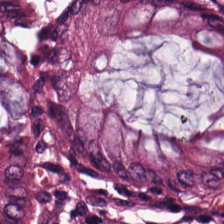Brightfield · 0.5 µm per pixel · H&E-stained tissue section.
Histology → benign colonic mucosa.
